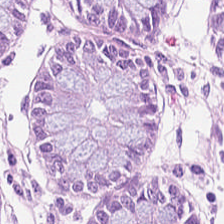H&E stain. 224×224 px patch. Predominant tissue = normal colonic mucosa.
